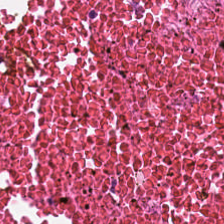H&E-stained tissue section showing necrotic debris.
